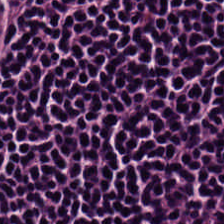H&E · whole-slide-image patch.
Tissue class — lymphocytes.
